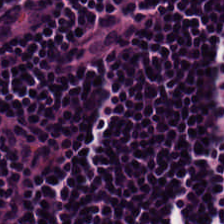Stain: hematoxylin and eosin.
Classification: lymphocyte aggregate.
